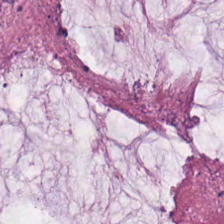Stain: H&E-stained tissue section.
Classification: mucus.
